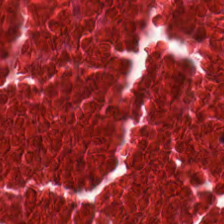Hematoxylin-and-eosin stained section · 0.5 µm/px · brightfield — Impression — necrotic debris.
